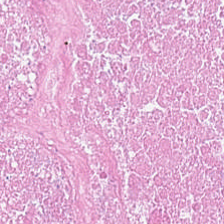Classification: cellular debris.
